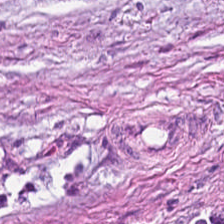H&E.
Finding → tumor stroma.
